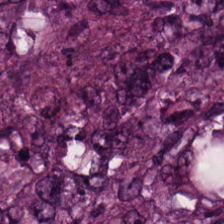Hematoxylin and eosin.
The predominant tissue is malignant epithelium.
